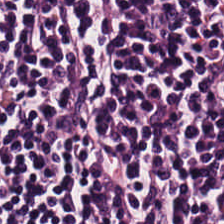Q: What type of tissue is this?
A: This is lymphocyte aggregate.
